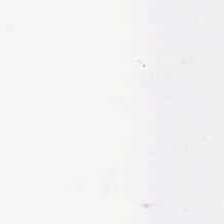Whole-slide-image patch. 224×224 px patch. H&E stain.
This field is background (no tissue).
